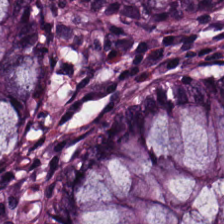Hematoxylin-and-eosin stained section · 20× equivalent magnification · FFPE tissue section. {"tissue_type": "non-neoplastic colon mucosa"}
